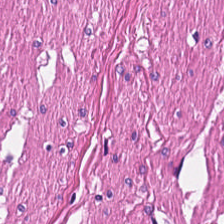Stain: H&E.
Predominant tissue: smooth-muscle tissue.
